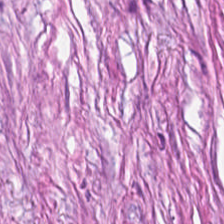{"tissue_type": "tumor-associated stroma"}
